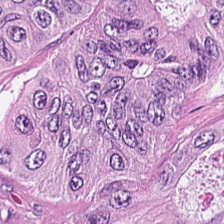This patch shows adenocarcinoma.
